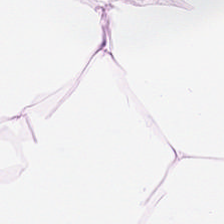Brightfield · H&E-stained tissue section — Q: What is shown in this field?
A: Fat tissue.
